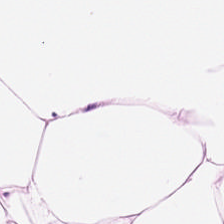Stain: H&E.
Preparation: FFPE tissue section.
Predominant tissue: adipose tissue.
